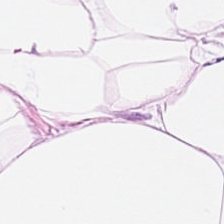Hematoxylin and eosin. The predominant tissue is adipose tissue.
